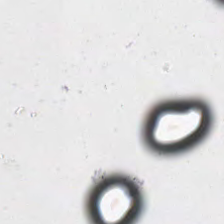Q: What does this patch show?
A: It is background (no tissue).
